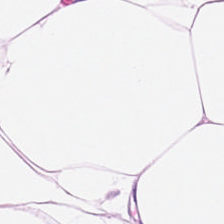H&E. Brightfield — {"tissue_type": "adipose tissue"}
